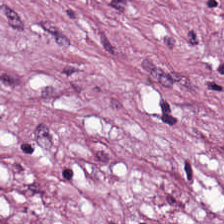Tissue type — cancer-associated stroma.
